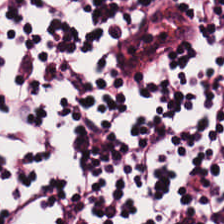Impression — lymphocyte aggregate.
